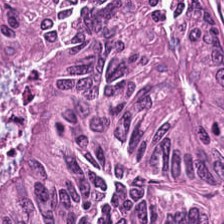Hematoxylin and eosin; WSI patch; 0.5 microns per pixel. Tissue type: tumor epithelium.
